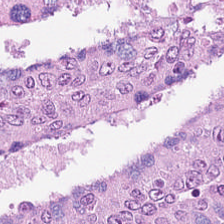WSI patch · hematoxylin and eosin. This field is colorectal adenocarcinoma epithelium.
